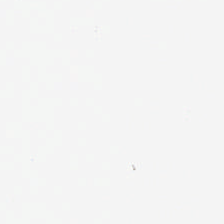Hematoxylin-and-eosin stained section. Q: What is shown here?
A: It is no tissue.
